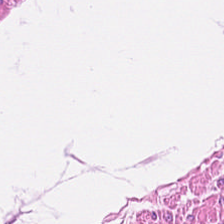Brightfield · H&E · 0.5 µm per pixel — Tissue class = muscularis.
